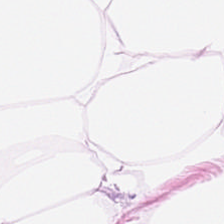Predominantly fat tissue.
